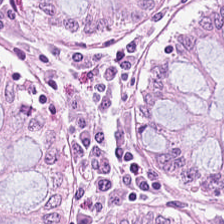H&E-stained tissue section.
Tissue — normal colon mucosa.
